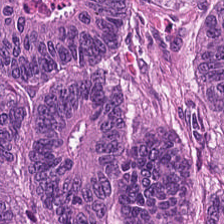Showing malignant epithelium.
